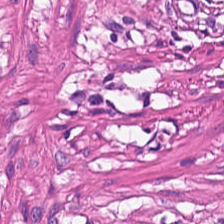H&E-stained tissue section. 224×224 px patch.
Smooth-muscle tissue.
